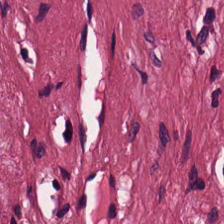H&E stain. Histology → desmoplastic stroma.
